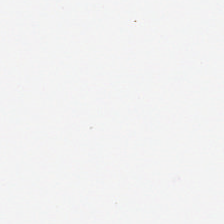Hematoxylin and eosin. 0.5 µm/px — {"content": "empty background"}
